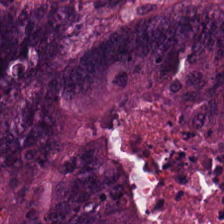Stain: H&E.
Resolution: 20× equivalent magnification.
Tissue type: malignant epithelium.
